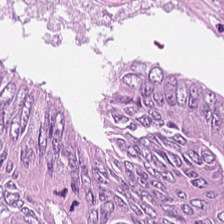224×224 px patch. H&E — This field is tumor epithelium.
